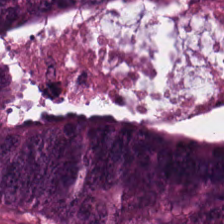Showing tumor epithelium.
